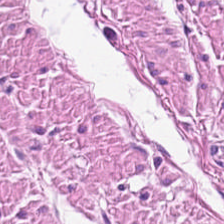H&E-stained tissue section. Q: Identify the tissue.
A: This is smooth muscle.
